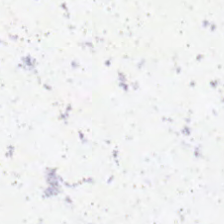Hematoxylin and eosin — The field content is background.
